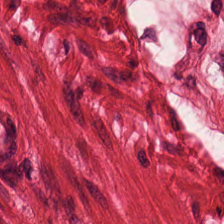Finding — smooth muscle.
